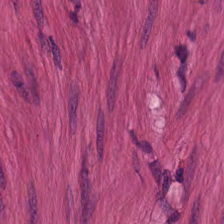H&E-stained tissue section — The tissue is smooth-muscle tissue.
